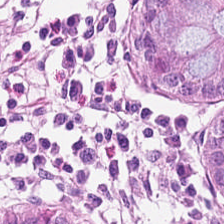20× equivalent magnification. H&E-stained tissue section. Brightfield.
The predominant tissue is benign colonic mucosa.
